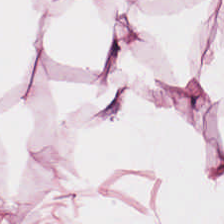Hematoxylin-and-eosin stained section — Fat tissue.
